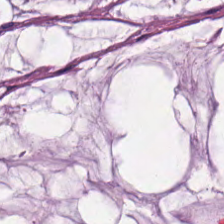Stain: hematoxylin-and-eosin stained section.
Tile size: 224×224 pixel tile.
Predominant tissue: mucin.
